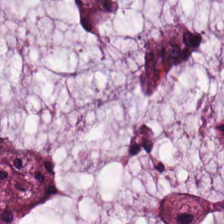Whole-slide-image patch. Hematoxylin-and-eosin stained section.
This field is mucin.
